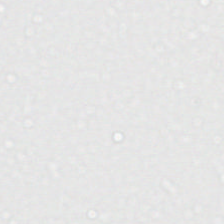224×224 pixel tile. Hematoxylin-and-eosin stained section — Empty field — background.
